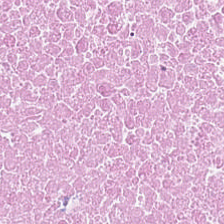Hematoxylin and eosin; 224×224 px patch.
Q: Identify the tissue.
A: This is necrotic debris.
